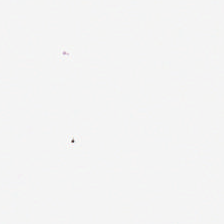Hematoxylin-and-eosin stained section; FFPE. Q: What does this patch show?
A: The field shows background.
